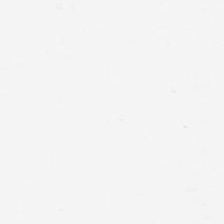Stain: hematoxylin-and-eosin stained section.
Field content: empty background.
